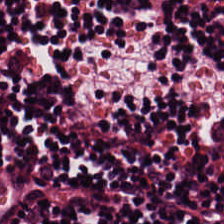FFPE. WSI patch. H&E stain.
Tissue: lymphoid infiltrate.
